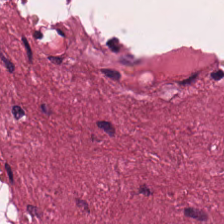{"tissue_type": "tumor-associated stroma"}
